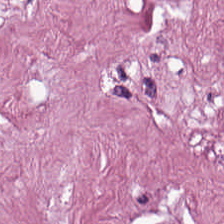H&E-stained tissue section showing desmoplastic stroma.
